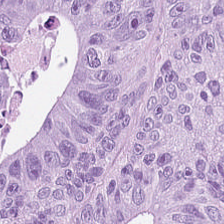Q: What is the predominant tissue type?
A: The field shows adenocarcinoma.
